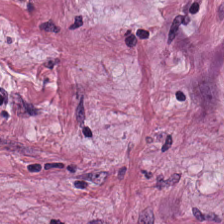0.5 µm/px · hematoxylin and eosin. Histology — tumor-associated stroma.
